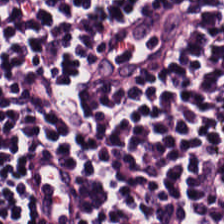Hematoxylin-and-eosin stained section. Predominantly lymphocytic infiltrate.
